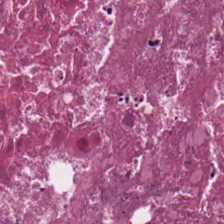H&E; brightfield microscopy. Finding → cellular debris.
